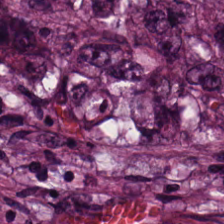Hematoxylin-and-eosin stained section. Histology → malignant epithelium.
